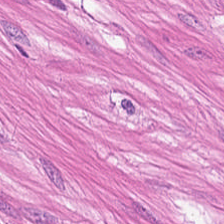Hematoxylin and eosin · 224×224 pixel tile.
This patch shows smooth-muscle tissue.
